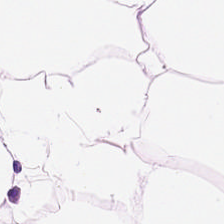H&E-stained tissue section — This patch shows adipocytes.
